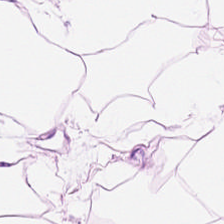This patch shows adipocytes.
